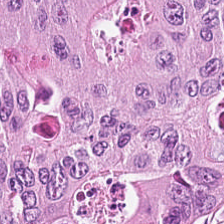WSI patch · hematoxylin and eosin.
The predominant tissue is colorectal adenocarcinoma.
